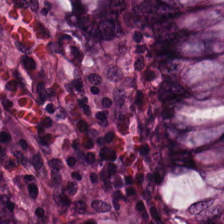H&E. FFPE tissue section.
The tissue here is benign colonic mucosa.
